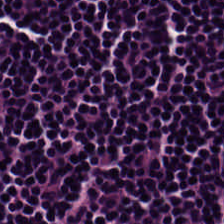224×224 pixel tile; 20× equivalent magnification; H&E-stained tissue section — Impression → lymphocytes.
